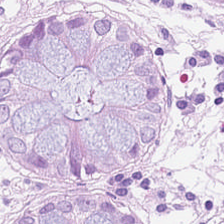Q: What is shown here?
A: The field shows normal colon mucosa.
